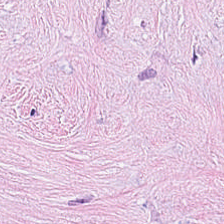Hematoxylin-and-eosin stained section. 224×224 pixel tile. Tissue class — tumor stroma.
